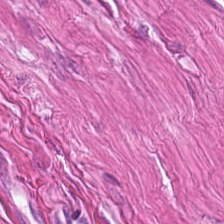Q: What is shown in this field?
A: The field shows smooth muscle.
